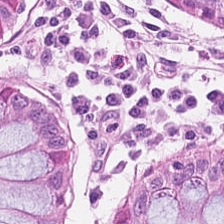Hematoxylin-and-eosin stained section · WSI patch. Q: Classify this patch.
A: It is normal colon mucosa.
